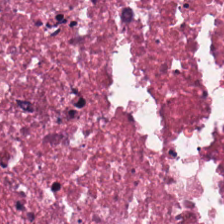Hematoxylin-and-eosin stained section; 20× equivalent magnification.
The predominant tissue is cellular debris.
